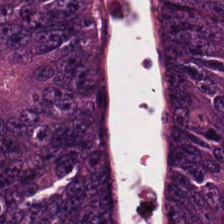Stain: H&E-stained tissue section.
Tissue class: adenocarcinoma.
